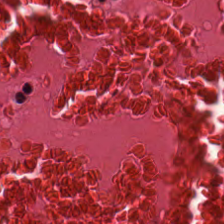Stain: H&E.
Preparation: FFPE tissue section.
Tile size: 224×224 pixel tile.
Classification: cellular debris.
